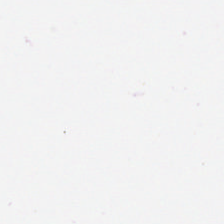Hematoxylin-and-eosin stained section. Background.
